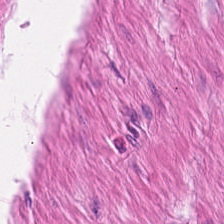Formalin-fixed paraffin-embedded section · H&E-stained tissue section · 224×224 px patch — Finding — muscularis.
